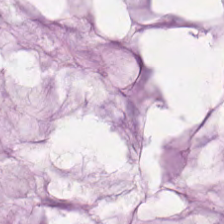224×224 pixel tile; H&E-stained tissue section.
Showing mucin.
